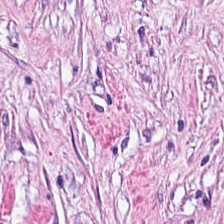224×224 px tile · hematoxylin-and-eosin stained section. The tissue class is cancer-associated stroma.
